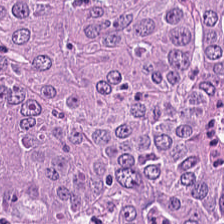H&E · FFPE tissue section — The tissue type is adenocarcinoma.
